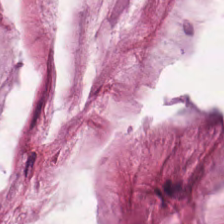20× equivalent magnification · hematoxylin and eosin. The tissue is mucin.
